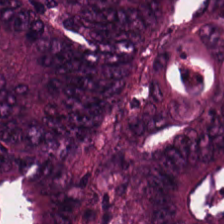Hematoxylin-and-eosin stained section · 224×224 px patch. This field is colorectal adenocarcinoma.
